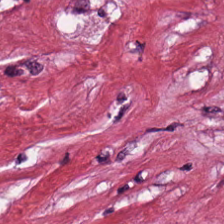0.5 µm per pixel. Hematoxylin and eosin. Tissue class — tumor-associated stroma.
